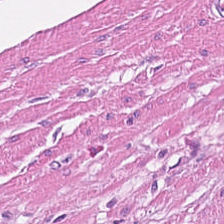H&E-stained tissue section — Muscularis.
